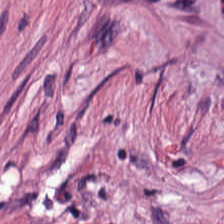H&E-stained tissue section.
This field is cancer-associated stroma.
